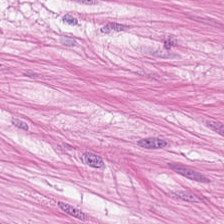Tissue type: smooth-muscle tissue.
